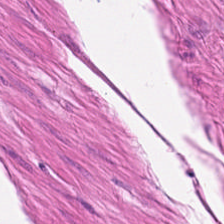H&E — Impression → muscularis.
